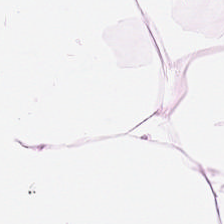Hematoxylin and eosin.
Predominantly adipose.
